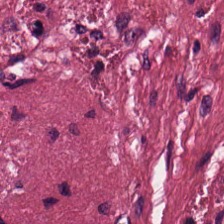H&E stain.
{"tissue_type": "cancer-associated stroma"}
